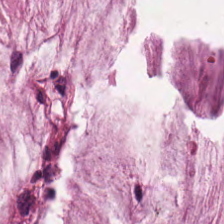H&E — mucin.
